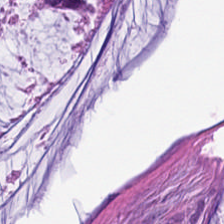Hematoxylin and eosin · 224×224 pixel tile · whole-slide-image patch — Classification = extracellular mucin.
